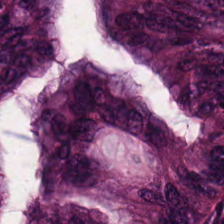H&E-stained section; the field shows tumor epithelium.
